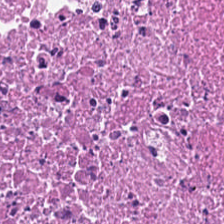H&E-stained tissue section. 224×224 pixel tile.
Q: What is shown here?
A: This is necrotic debris.
